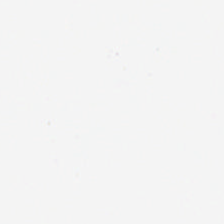Q: Classify this patch.
A: The field shows background.
